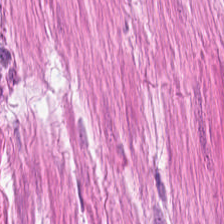Hematoxylin and eosin · FFPE tissue section. Impression → smooth muscle.
